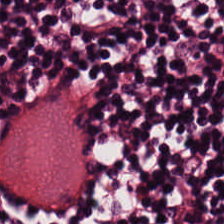H&E-stained tissue section showing lymphoid infiltrate.
